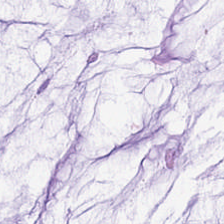Q: What type of tissue is this?
A: The field shows mucin.
